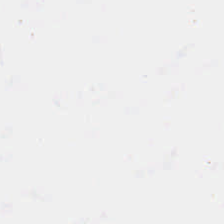H&E stain. Content = no tissue.
